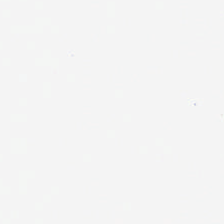Background — no tissue in this field.
